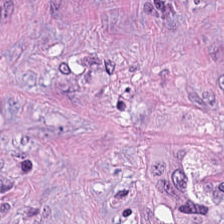0.5 µm/px; formalin-fixed paraffin-embedded section; hematoxylin-and-eosin stained section.
This patch shows desmoplastic stroma.
